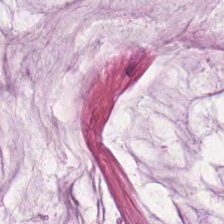H&E stain; FFPE. Q: What is shown here?
A: This is mucin.
